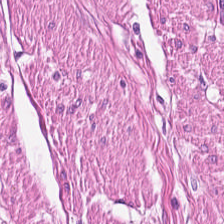Hematoxylin-and-eosin stained section — This patch shows smooth muscle.
